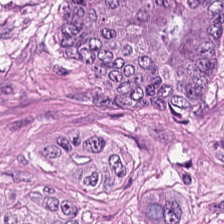224×224 pixel tile · hematoxylin and eosin · brightfield. This patch shows colorectal adenocarcinoma.
